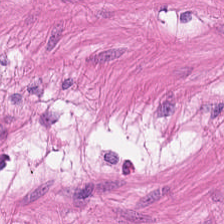Brightfield · hematoxylin-and-eosin stained section · 0.5 microns per pixel.
Tissue class = smooth muscle.
